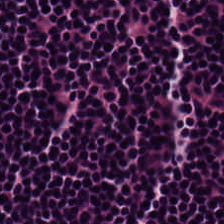Hematoxylin and eosin. Classification = lymphocytes.
